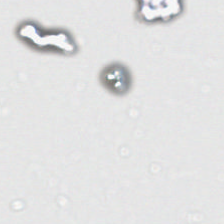0.5 µm/px. H&E. WSI patch. Q: What does this patch show?
A: It is empty background.
